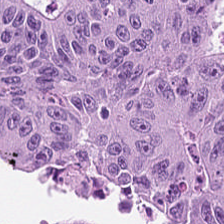Formalin-fixed paraffin-embedded section; 224×224 px tile; H&E — Q: What type of tissue is this?
A: The field shows colorectal adenocarcinoma epithelium.
